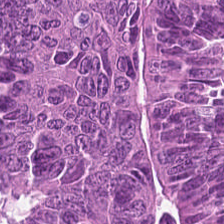Brightfield. H&E stain. 224×224 px tile — {"tissue_type": "colorectal adenocarcinoma epithelium"}
